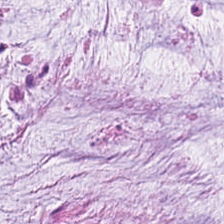H&E-stained tissue section. Q: What is the predominant tissue type?
A: Extracellular mucin.
